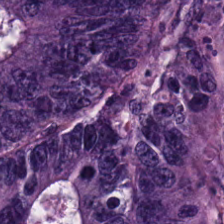Q: What is shown in this field?
A: Tumor epithelium.
